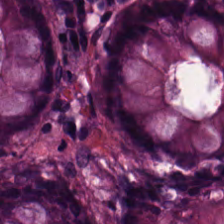Stain: hematoxylin-and-eosin stained section.
Tissue class: non-neoplastic colon mucosa.
